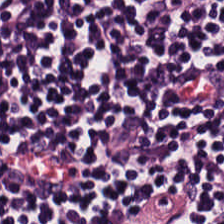Hematoxylin-and-eosin stained section. 20× equivalent magnification. 224×224 px tile. Q: What tissue type is shown here?
A: Lymphocytic infiltrate.
